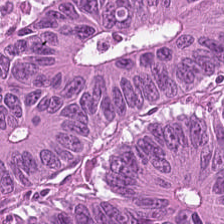H&E stain. Formalin-fixed paraffin-embedded section. Impression — malignant epithelium.
